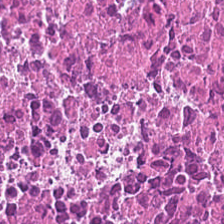FFPE tissue section. Hematoxylin-and-eosin stained section. Q: What tissue type is shown here?
A: Debris.
